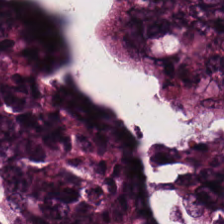Tissue — adenocarcinoma.
